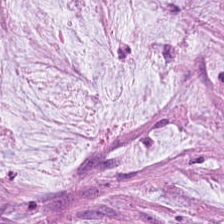Finding — extracellular mucin.
